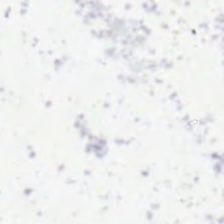Background — no tissue in this field.
